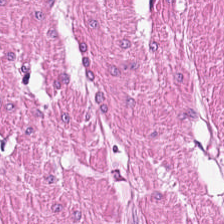H&E; brightfield; 0.5 µm/px. This patch shows smooth-muscle tissue.
